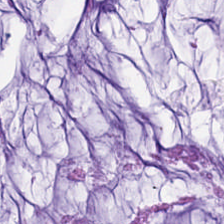FFPE. 224×224 px tile. H&E — Showing extracellular mucin.
